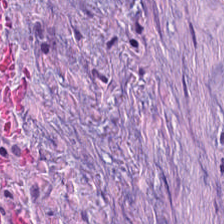H&E-stained tissue section.
{"tissue_type": "tumor stroma"}
